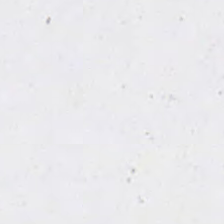H&E-stained tissue section — Field content = empty background.
